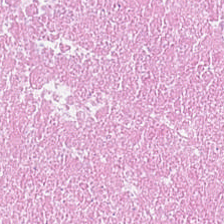H&E. Tissue class: debris.
